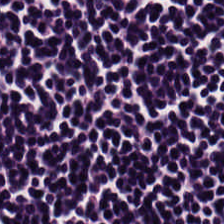This field is lymphocyte aggregate.
